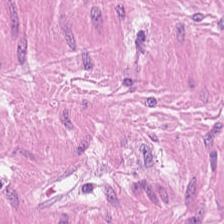H&E. FFPE tissue section. 224×224 pixel tile — Impression — muscularis.
